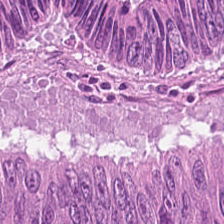H&E — Q: What is shown in this field?
A: This is adenocarcinoma.
